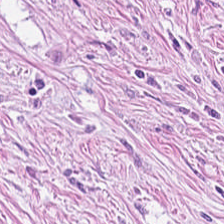This patch shows tumor stroma.
